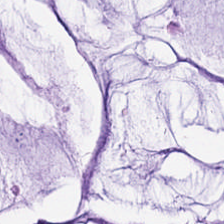Whole-slide-image patch · H&E-stained tissue section · 224×224 pixel tile.
Finding → mucin.
